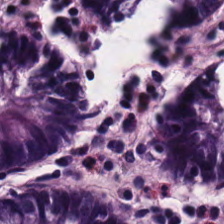Q: What is shown in this field?
A: It is non-neoplastic colon mucosa.
